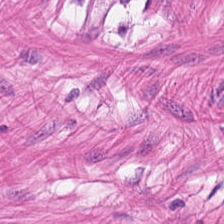H&E stain — Tissue type = muscularis.
